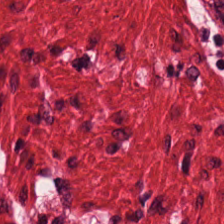The tissue here is smooth muscle.
